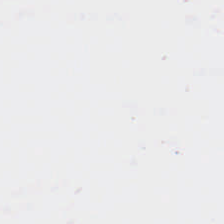Empty field — no tissue.
